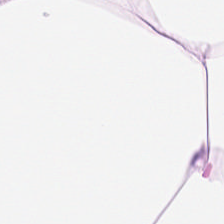Whole-slide-image patch; H&E-stained tissue section — The tissue is adipocytes.
